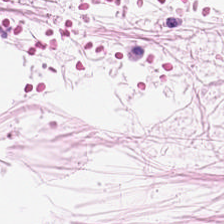Hematoxylin-and-eosin stained section — Impression → adipocytes.
